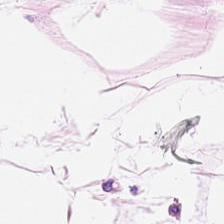Hematoxylin-and-eosin section: fat tissue.
